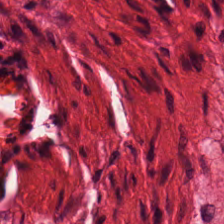Brightfield. 0.5 µm per pixel. H&E.
Finding → muscularis.
